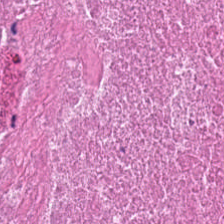Brightfield · H&E — Showing cellular debris.
